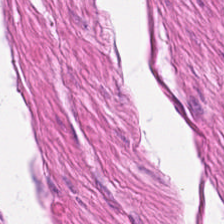Hematoxylin and eosin. {"tissue_type": "muscularis"}
